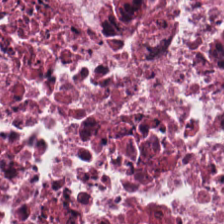Hematoxylin-and-eosin stained section.
Impression — cellular debris.
